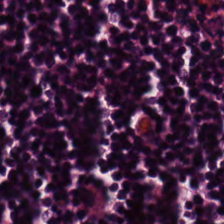Hematoxylin-and-eosin section: lymphocyte aggregate.
